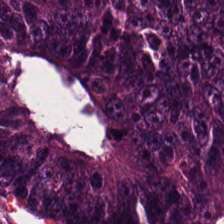Hematoxylin-and-eosin stained section; 224×224 px patch.
Predominant tissue: colorectal adenocarcinoma epithelium.
